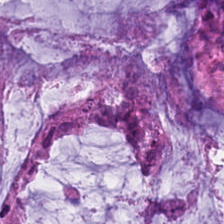H&E — mucus.
